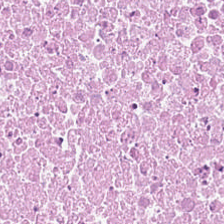{"tissue_type": "necrotic debris"}
